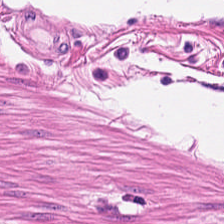H&E-stained tissue section. Tissue type: smooth-muscle tissue.
